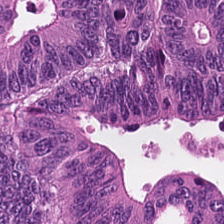H&E-stained tissue section. Whole-slide-image patch. Classification: colorectal adenocarcinoma.
